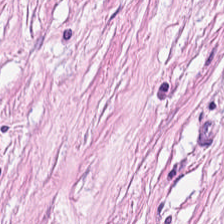Formalin-fixed paraffin-embedded section; hematoxylin and eosin.
Histology — cancer-associated stroma.
